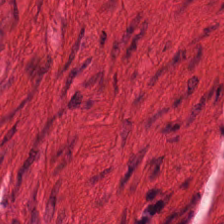0.5 µm/px · H&E.
Showing muscularis.
